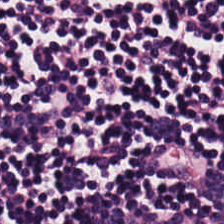Hematoxylin and eosin.
Lymphocyte aggregate.
